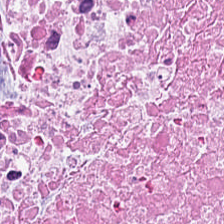H&E · brightfield microscopy — Q: What type of tissue is this?
A: This is debris.
